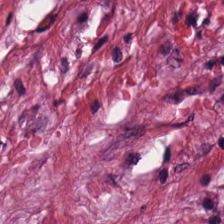H&E stain — The tissue here is tumor stroma.
